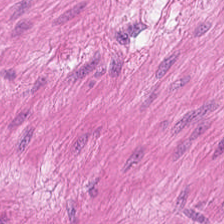Hematoxylin and eosin.
Q: What does this patch show?
A: Muscularis.
